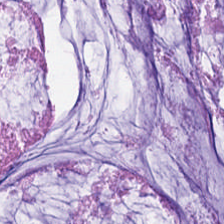H&E patch showing mucus.
